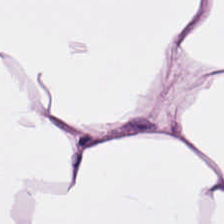Hematoxylin and eosin. The predominant tissue is adipocytes.
